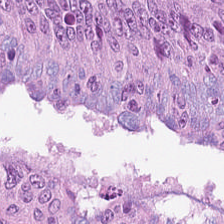Q: What is shown here?
A: This is malignant epithelium.
